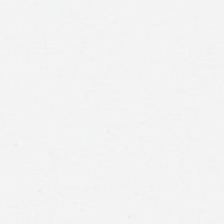Hematoxylin-and-eosin stained section · 224×224 px patch — Impression — background.
